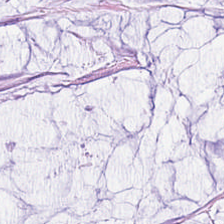H&E-stained section; the field shows mucin.
